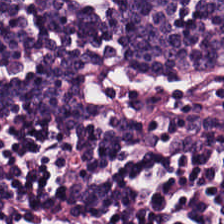H&E-stained tissue section · brightfield microscopy. Predominant tissue — lymphocytic infiltrate.
